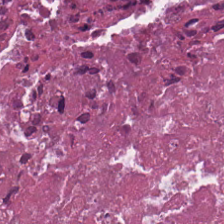H&E-stained tissue section — The tissue here is cellular debris.
